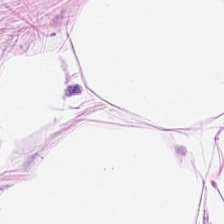H&E.
Adipose.
